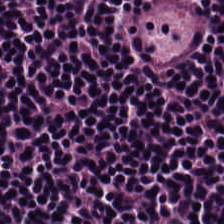H&E stain; brightfield; 224×224 pixel tile — {"tissue_type": "lymphocytes"}
